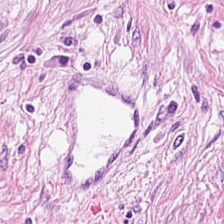H&E stain · 224×224 px patch · brightfield microscopy.
Histology — tumor stroma.
